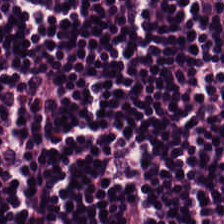Tissue — lymphoid infiltrate.
